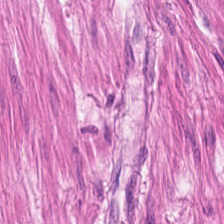Hematoxylin-and-eosin stained section · 0.5 µm per pixel. Finding → smooth-muscle tissue.
